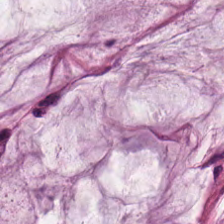Histology — mucus.
